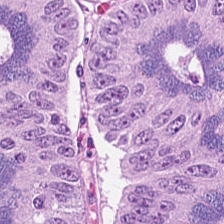224×224 pixel tile; 0.5 microns per pixel; hematoxylin-and-eosin stained section. Histology — tumor epithelium.
